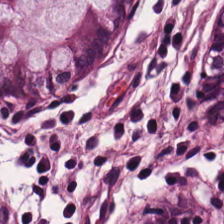H&E — Histology — non-neoplastic colon mucosa.
